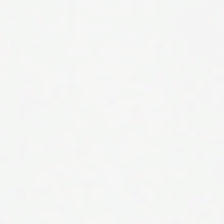Hematoxylin-and-eosin stained section. FFPE — Classification = no tissue.
